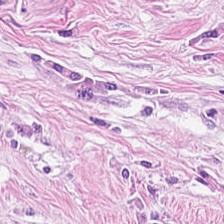H&E — desmoplastic stroma.
